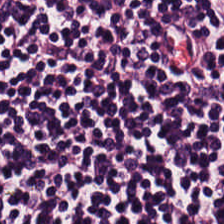H&E — This patch shows lymphocytic infiltrate.
